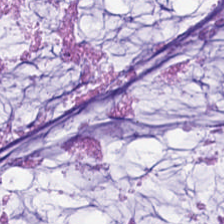H&E stain.
Histology — extracellular mucin.
